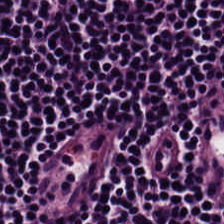Formalin-fixed paraffin-embedded section; H&E; 20× equivalent magnification — Impression → lymphocytes.
